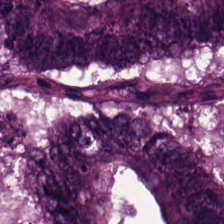Hematoxylin and eosin. Q: What is shown here?
A: The field shows colorectal adenocarcinoma epithelium.
